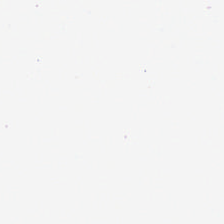Background — no tissue in this field.
